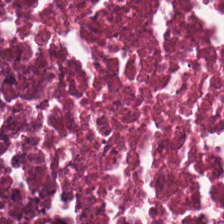Stain: hematoxylin and eosin.
Preparation: FFPE tissue section.
Classification: necrotic debris.
